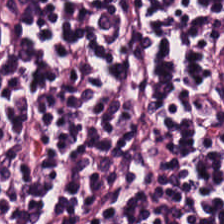H&E-stained tissue section. Brightfield microscopy. 20× equivalent magnification — Q: Identify the tissue.
A: It is lymphocytic infiltrate.
